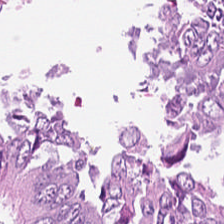H&E-stained tissue section — Impression → colorectal adenocarcinoma epithelium.
